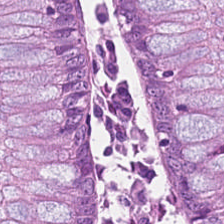H&E stain · brightfield microscopy · 224×224 px patch — Q: What is shown here?
A: Normal colon mucosa.
